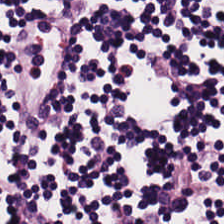Stain: H&E-stained tissue section.
Resolution: 0.5 µm per pixel.
Tissue type: lymphocytes.
